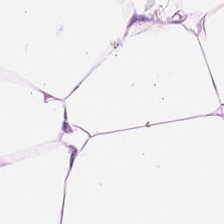Stain: H&E.
Preparation: FFPE.
Tile size: 224×224 pixel tile.
Tissue: fat tissue.
